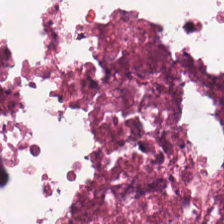H&E-stained tissue section — Q: What does this patch show?
A: This is necrotic debris.
